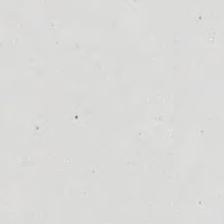0.5 microns per pixel; 224×224 px tile; hematoxylin-and-eosin stained section.
Background — no tissue in this field.
